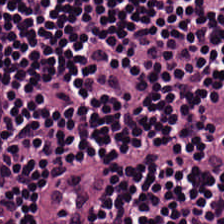Finding → lymphoid infiltrate.
